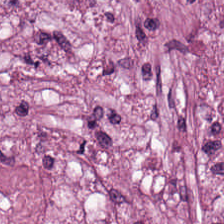Q: What is shown here?
A: This is cancer-associated stroma.
